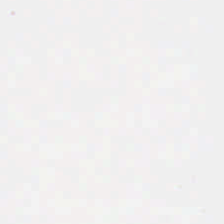Classification = no tissue.
